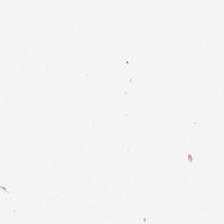The content is background (no tissue).
